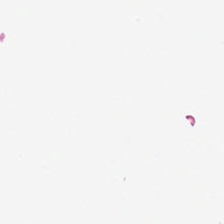H&E.
Field content — background.
